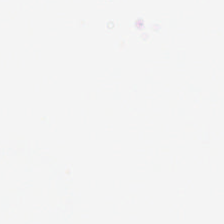Hematoxylin and eosin.
This patch shows background.
